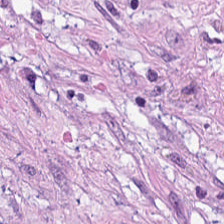H&E-stained tissue section. Predominant tissue — desmoplastic stroma.
